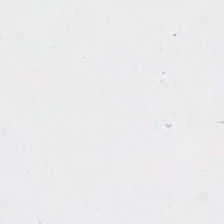Stain: H&E stain.
Field content: empty background.
